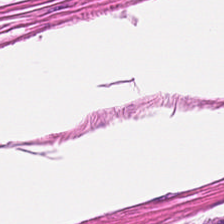Hematoxylin-and-eosin stained section. This patch shows smooth muscle.
